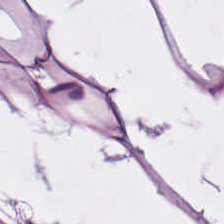Showing adipose.
